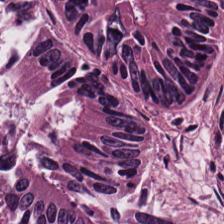H&E-stained tissue section. Histology — colorectal adenocarcinoma epithelium.
